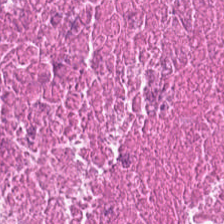Impression → debris.
